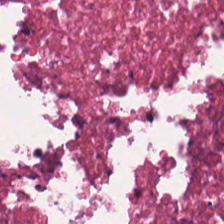H&E stain. This patch shows debris.
